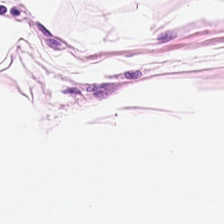H&E stain.
Finding — adipose.
